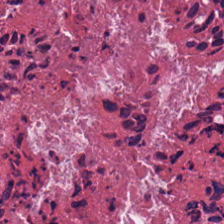Stain: hematoxylin-and-eosin stained section.
Tissue class: necrotic debris.
